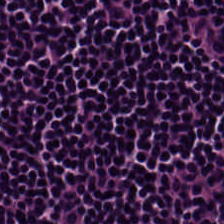Predominant tissue — lymphocytes.
